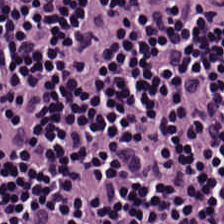Q: What tissue is shown?
A: This is lymphocytic infiltrate.
